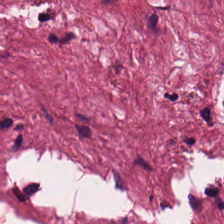H&E stain. Predominantly tumor stroma.
